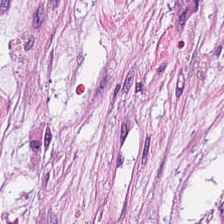Hematoxylin-and-eosin stained section. Desmoplastic stroma.
